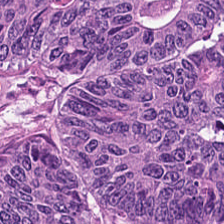Hematoxylin and eosin.
Tissue class — malignant epithelium.
